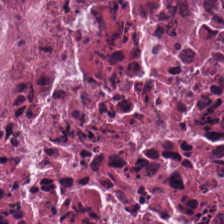0.5 µm per pixel. Hematoxylin-and-eosin stained section — Q: What is the predominant tissue type?
A: It is debris.
